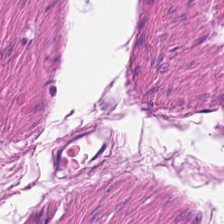Hematoxylin and eosin. Q: What tissue is shown?
A: It is smooth-muscle tissue.
